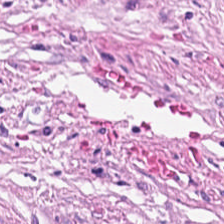Formalin-fixed paraffin-embedded section. H&E stain. Whole-slide-image patch. The predominant tissue is tumor stroma.
